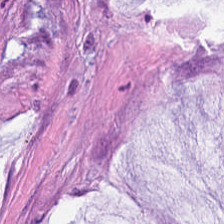This field is extracellular mucin.
